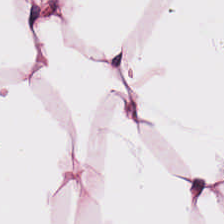Hematoxylin and eosin; formalin-fixed paraffin-embedded section — The classification is adipose tissue.
